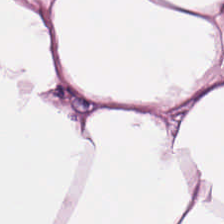H&E stain.
Q: Classify this patch.
A: Adipocytes.
